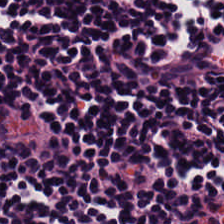H&E · 0.5 microns per pixel.
Impression → lymphoid infiltrate.
